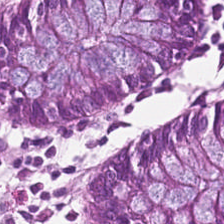Stain: hematoxylin-and-eosin stained section.
Tissue class: normal colonic mucosa.
